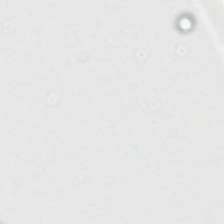Whole-slide-image patch; hematoxylin-and-eosin stained section; 0.5 µm/px. Q: What does this patch show?
A: It is empty background.
